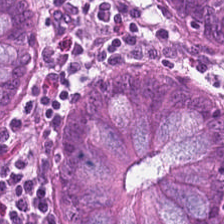Stain: H&E-stained tissue section.
Tissue: benign colonic mucosa.
